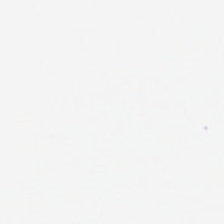Background — no tissue in this field.
